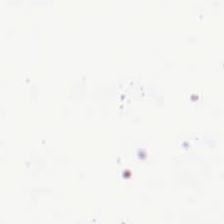Stain: H&E stain.
Field content: no tissue.
